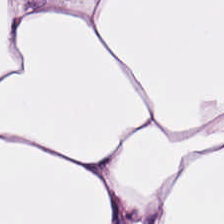224×224 px tile; H&E-stained tissue section. Fat tissue.
